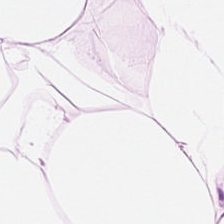Brightfield microscopy. Hematoxylin-and-eosin stained section. FFPE tissue section.
This patch shows adipose.
